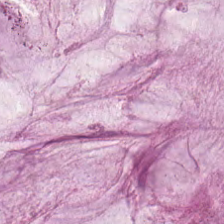Hematoxylin-and-eosin stained section. Predominant tissue: mucus.
